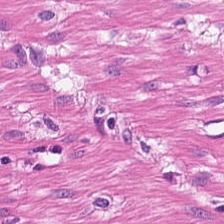Stain: H&E.
Acquisition: WSI patch.
Tissue type: smooth muscle.
